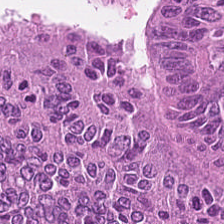H&E-stained tissue section.
Q: What does this patch show?
A: It is colorectal adenocarcinoma.
